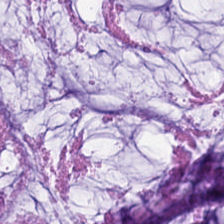H&E-stained tissue section. Tissue type = extracellular mucin.
